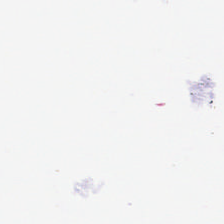H&E stain · brightfield microscopy. This patch shows empty background.
